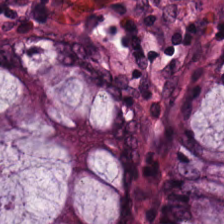H&E-stained tissue section showing non-neoplastic colon mucosa.
